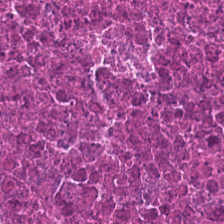The tissue type is necrotic debris.
